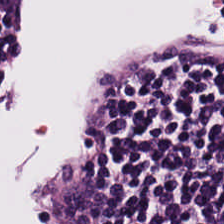Hematoxylin and eosin — Lymphocytes.
